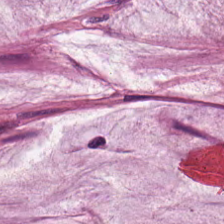H&E-stained tissue section; 224×224 px patch; 0.5 µm per pixel.
This patch shows mucus.
